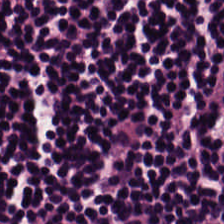WSI patch; hematoxylin-and-eosin stained section. {"tissue_type": "lymphocytes"}
